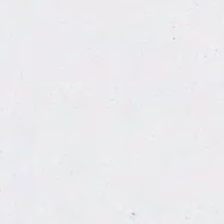Stain: hematoxylin-and-eosin stained section.
Tile size: 224×224 px patch.
Preparation: FFPE tissue section.
Classification: background.
